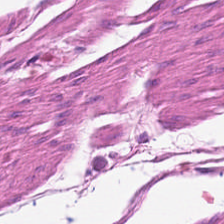H&E patch showing muscularis.
